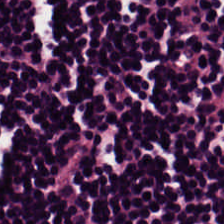Hematoxylin and eosin. The predominant tissue is lymphocytes.
